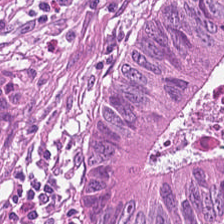Brightfield; 224×224 pixel tile; H&E.
Q: What tissue type is shown here?
A: It is colorectal adenocarcinoma epithelium.
